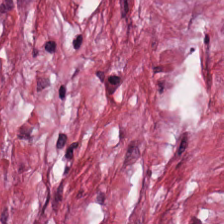H&E-stained tissue section — Predominantly cancer-associated stroma.
